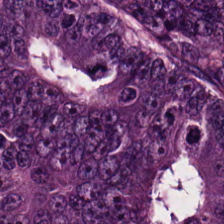H&E. Q: What tissue is shown?
A: It is colorectal adenocarcinoma epithelium.
